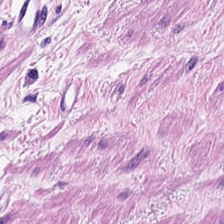Tissue class — muscularis.
